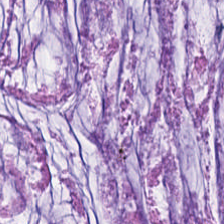H&E-stained tissue section — The predominant tissue is mucin.
